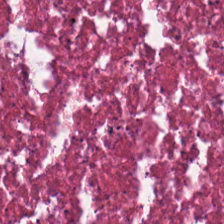WSI patch; H&E stain; 224×224 px tile.
Histology → necrotic debris.
